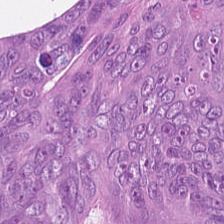H&E stain.
Tissue: malignant epithelium.
